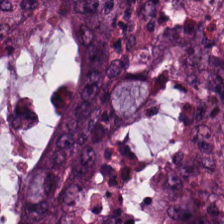Stain: H&E-stained tissue section.
Classification: adenocarcinoma.
